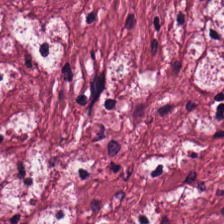Stain: H&E-stained tissue section.
Resolution: 20× equivalent magnification.
Tissue type: tumor-associated stroma.
